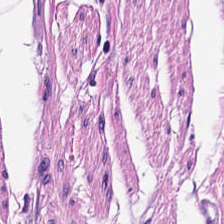H&E-stained tissue section — Q: What tissue type is shown here?
A: The field shows muscularis.
